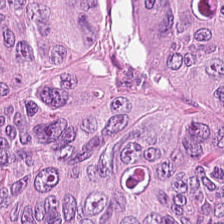Showing colorectal adenocarcinoma epithelium.
